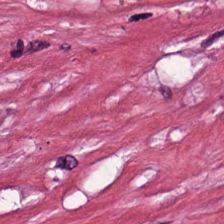Finding → tumor stroma.
